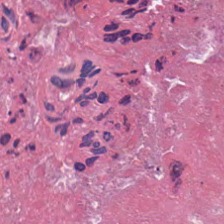224×224 px tile; hematoxylin and eosin.
This field is debris.
